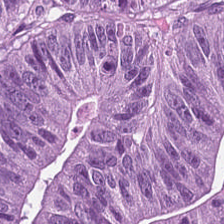Stain: H&E-stained tissue section.
Predominant tissue: tumor epithelium.
